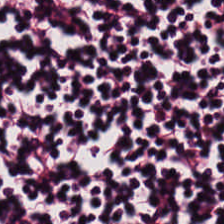H&E-stained tissue section.
Histology → lymphocytic infiltrate.
